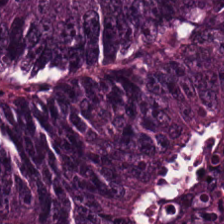H&E stain.
{"tissue_type": "tumor epithelium"}
